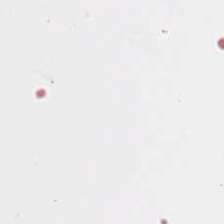Hematoxylin and eosin. Brightfield microscopy. Background — no tissue in this field.
